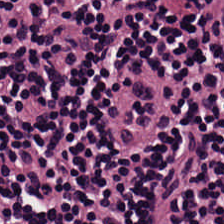H&E-stained tissue section.
The tissue is lymphoid infiltrate.
